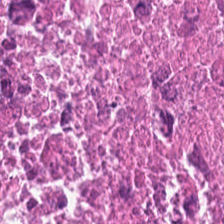The tissue here is cellular debris.
